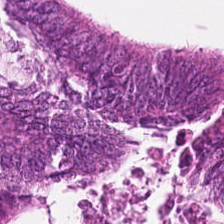Q: What type of tissue is this?
A: This is adenocarcinoma.
